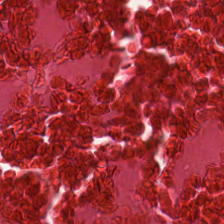{"tissue_type": "necrotic debris"}
